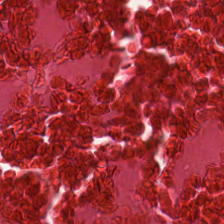{"tissue_type": "necrotic debris"}
